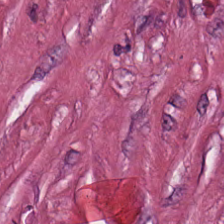224×224 px patch · H&E-stained tissue section. Q: What tissue type is shown here?
A: Tumor stroma.
